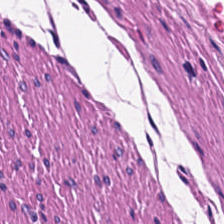Histology → smooth muscle.
